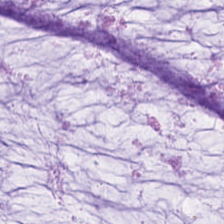Stain: hematoxylin and eosin.
Resolution: 0.5 µm/px.
Tissue type: extracellular mucin.
